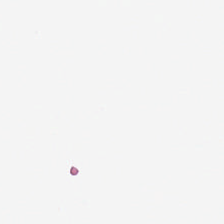Field content: empty background.
